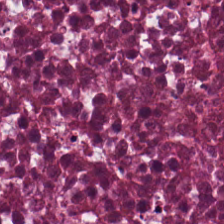H&E.
The tissue class is necrotic debris.
